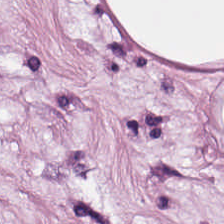H&E stain; 0.5 µm/px; brightfield microscopy. Tissue — adipose.
